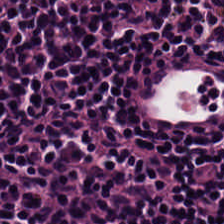Hematoxylin-and-eosin stained section. 224×224 pixel tile. 20× equivalent magnification.
Histology — lymphocytes.
